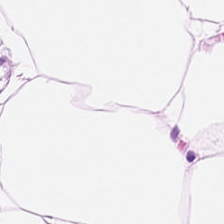Hematoxylin-and-eosin stained section — The tissue class is adipocytes.
